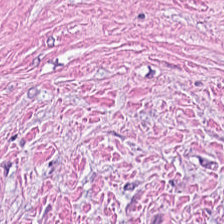Desmoplastic stroma.
